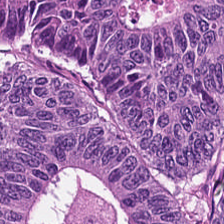Hematoxylin-and-eosin stained section.
Predominantly adenocarcinoma.
